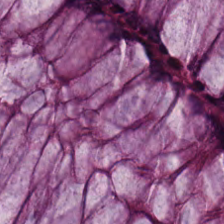Stain: hematoxylin and eosin.
Tissue class: normal colon mucosa.
